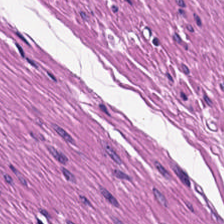Hematoxylin-and-eosin stained section — Finding — smooth-muscle tissue.
